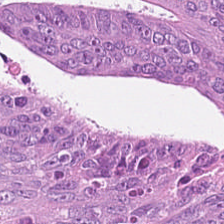This field is adenocarcinoma.
